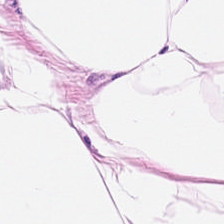Whole-slide-image patch · 224×224 px patch · H&E-stained tissue section — Tissue: adipose.
